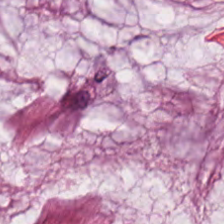Hematoxylin-and-eosin stained section. Mucus.
